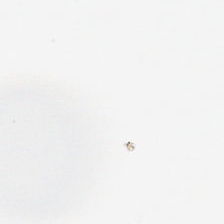Background.
